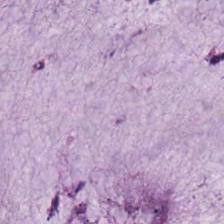Hematoxylin-and-eosin stained section.
This field is mucin.
